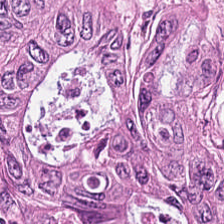Formalin-fixed paraffin-embedded section · hematoxylin and eosin — This field is adenocarcinoma.
